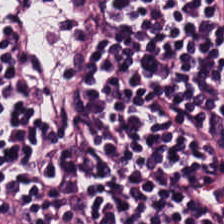H&E; whole-slide-image patch.
Q: What type of tissue is this?
A: This is lymphocyte aggregate.
